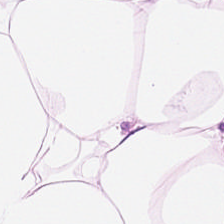H&E. Impression — adipose tissue.
